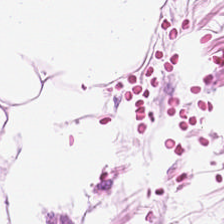The predominant tissue is fat tissue.
